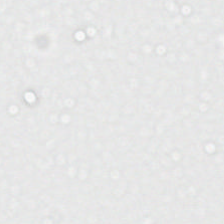Stain: H&E.
Tile size: 224×224 px patch.
Content: empty background.
